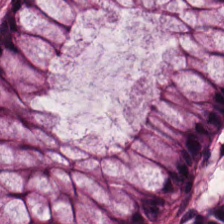224×224 pixel tile. 0.5 microns per pixel. Hematoxylin and eosin. Predominant tissue = normal colon mucosa.
